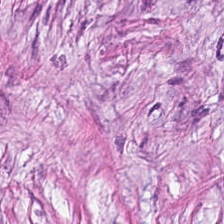Hematoxylin-and-eosin section: cancer-associated stroma.
